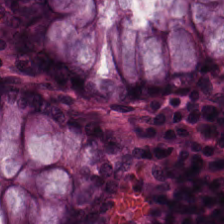0.5 microns per pixel; formalin-fixed paraffin-embedded section; hematoxylin-and-eosin stained section — This patch shows normal colon mucosa.
